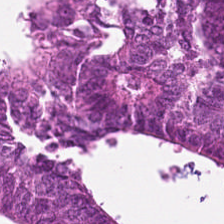H&E stain — Predominantly colorectal adenocarcinoma.
